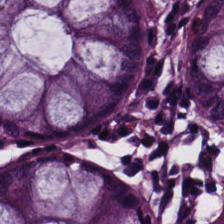Hematoxylin and eosin. Q: What is shown here?
A: It is normal colonic mucosa.
